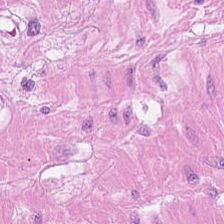H&E-stained tissue section; formalin-fixed paraffin-embedded section — Tissue: muscularis.
